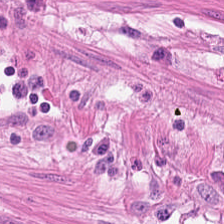Whole-slide-image patch; hematoxylin-and-eosin stained section; 0.5 µm per pixel — Q: What is the predominant tissue type?
A: This is smooth-muscle tissue.
